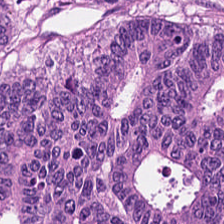Q: What tissue is shown?
A: It is colorectal adenocarcinoma.
